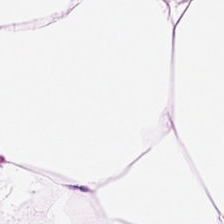Hematoxylin-and-eosin stained section. Predominantly adipose tissue.
